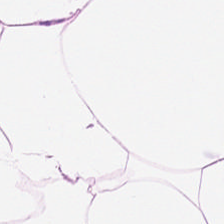H&E. WSI patch. This patch shows adipose tissue.
